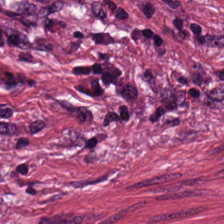Predominant tissue — tumor stroma.
